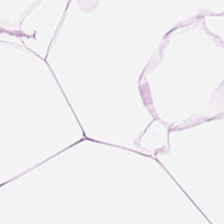H&E-stained tissue section. Tissue: adipose.
